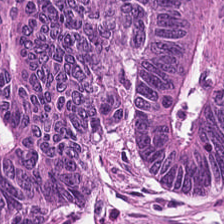Brightfield microscopy; H&E.
The predominant tissue is colorectal adenocarcinoma epithelium.
